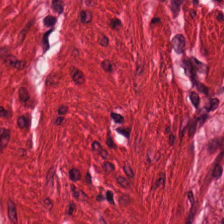FFPE tissue section; hematoxylin and eosin — Q: What is the predominant tissue type?
A: This is smooth-muscle tissue.
